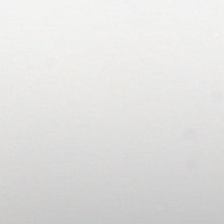H&E-stained tissue section.
Background — no tissue in this field.
